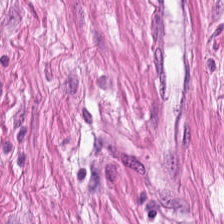H&E-stained tissue section — Tissue type = smooth-muscle tissue.
